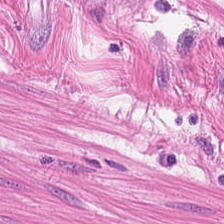Hematoxylin-and-eosin stained section — Predominantly muscularis.
